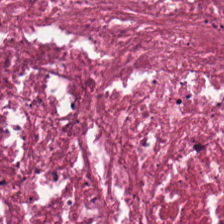H&E-stained tissue section showing cellular debris.
